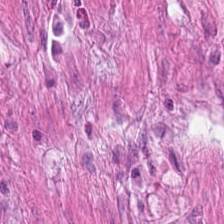Hematoxylin-and-eosin stained section — Tissue type — muscularis.
